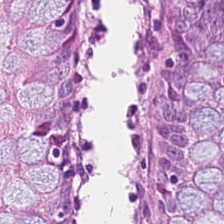H&E stain. This patch shows normal colon mucosa.
